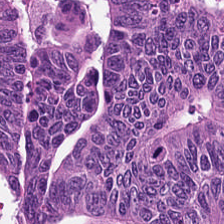Hematoxylin-and-eosin stained section · whole-slide-image patch. Histology — colorectal adenocarcinoma.
